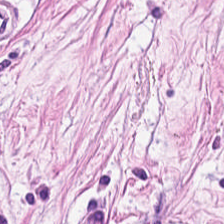224×224 px tile. Hematoxylin and eosin — The predominant tissue is tumor stroma.
